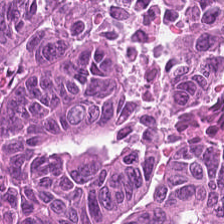H&E — Q: What is shown in this field?
A: This is tumor epithelium.
